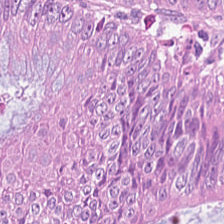Q: What tissue type is shown here?
A: It is tumor epithelium.
